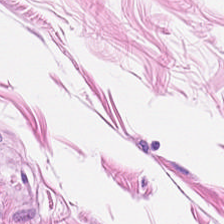H&E stain. 0.5 µm/px — Impression → smooth-muscle tissue.
